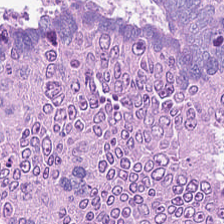H&E stain — Tumor epithelium.
